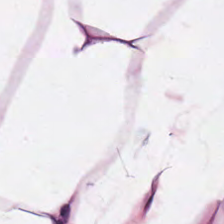WSI patch. H&E.
The tissue here is adipocytes.
